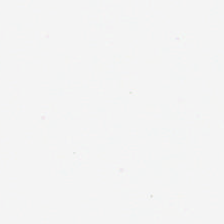H&E-stained tissue section. Empty field — background.
